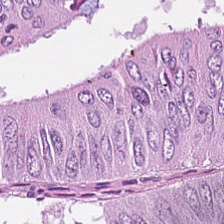H&E-stained tissue section — Adenocarcinoma.
